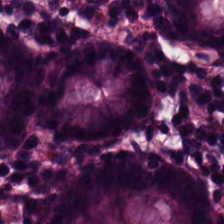H&E-stained tissue section.
Predominantly non-neoplastic colon mucosa.
